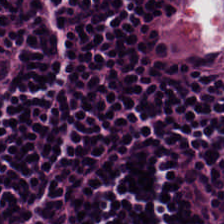Predominant tissue — lymphocytic infiltrate.
